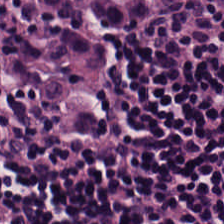H&E-stained tissue section · 0.5 µm per pixel · FFPE tissue section.
{"tissue_type": "lymphoid infiltrate"}
